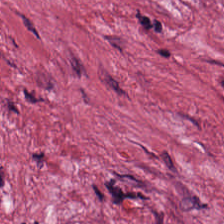H&E stain.
Finding → cancer-associated stroma.
